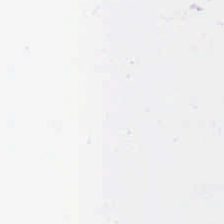Stain: H&E stain.
Acquisition: WSI patch.
Tile size: 224×224 px patch.
Content: no tissue.
